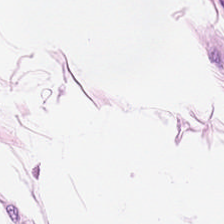0.5 µm/px. Hematoxylin and eosin.
Finding — adipose.
